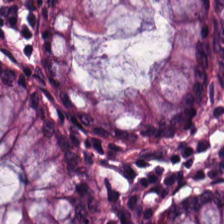Normal colon mucosa.
